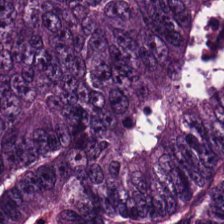Hematoxylin-and-eosin stained section · 224×224 pixel tile — Predominantly colorectal adenocarcinoma epithelium.
